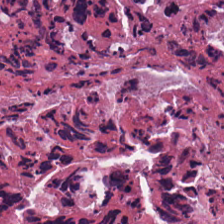Hematoxylin and eosin.
{"tissue_type": "cellular debris"}
